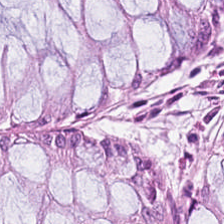Hematoxylin-and-eosin stained section.
The tissue is normal colon mucosa.
